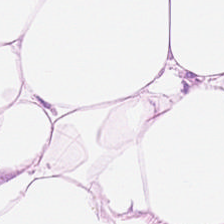H&E-stained tissue section. This patch shows fat tissue.
